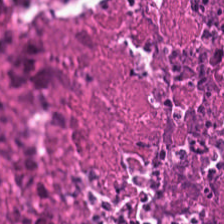Brightfield microscopy. Hematoxylin and eosin — Tissue class = necrotic debris.
